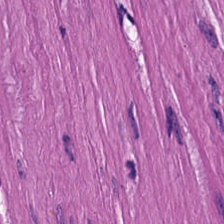H&E-stained tissue section — Finding → smooth muscle.
